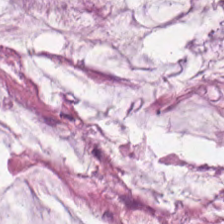Stain: H&E stain.
Tissue: mucus.
